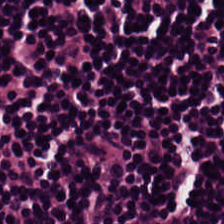Brightfield microscopy; formalin-fixed paraffin-embedded section; hematoxylin-and-eosin stained section.
Tissue class: lymphocyte aggregate.
